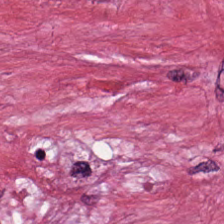Hematoxylin-and-eosin stained section. 20× equivalent magnification. 224×224 pixel tile.
Predominantly cancer-associated stroma.
